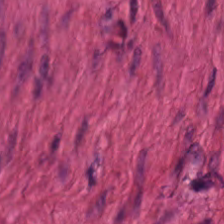Stain: hematoxylin-and-eosin stained section.
Predominant tissue: muscularis.
